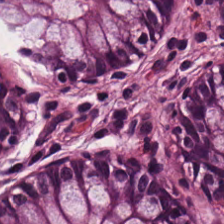H&E-stained tissue section.
Q: What is shown here?
A: It is normal colon mucosa.
